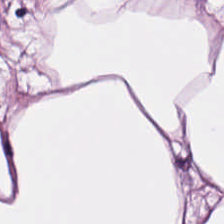Hematoxylin and eosin — Q: What does this patch show?
A: It is adipose.
